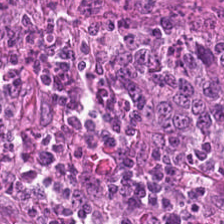Hematoxylin and eosin · 224×224 pixel tile · 0.5 microns per pixel. Q: Identify the tissue.
A: This is adenocarcinoma.
